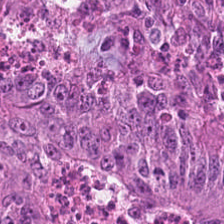Tissue type — malignant epithelium.
